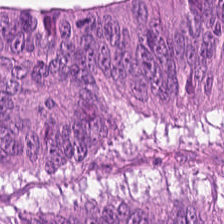H&E stain.
Predominantly tumor epithelium.
